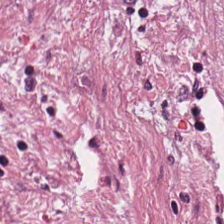Classification: cancer-associated stroma.
